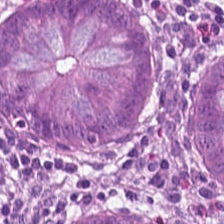{"tissue_type": "non-neoplastic colon mucosa"}
